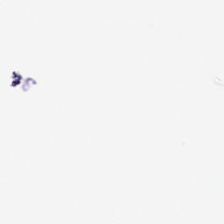Stain: hematoxylin and eosin.
Field content: background.
